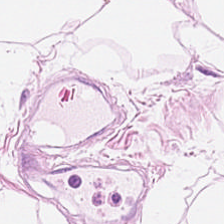Showing adipose.
